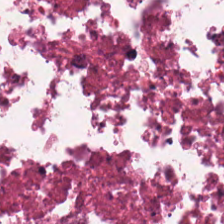Stain: H&E.
Tile size: 224×224 px tile.
Classification: debris.
